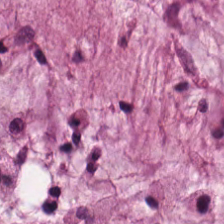H&E-stained tissue section. Predominant tissue — mucin.
